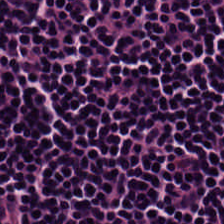Lymphocyte aggregate.
